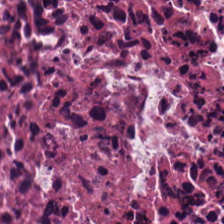H&E. Tissue type = debris.
